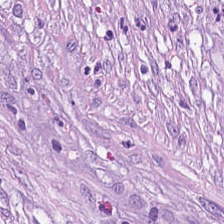Hematoxylin and eosin. Brightfield — Predominant tissue: tumor stroma.
